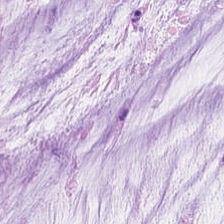H&E.
Q: What is the predominant tissue type?
A: Extracellular mucin.
